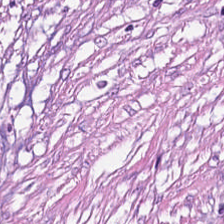Hematoxylin-and-eosin stained section. 20× equivalent magnification. Brightfield microscopy. Q: What is shown in this field?
A: The field shows tumor stroma.
